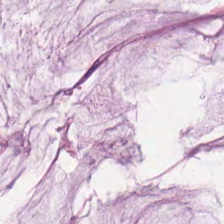Q: Identify the tissue.
A: It is mucus.
